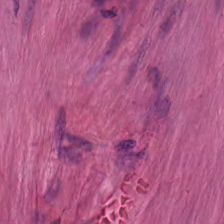224×224 px patch; H&E — {"tissue_type": "smooth-muscle tissue"}
